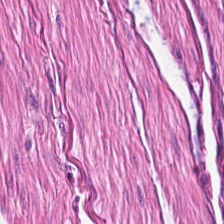20× equivalent magnification; 224×224 px patch; H&E stain. Muscularis.
